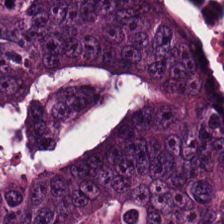Hematoxylin-and-eosin stained section; 224×224 pixel tile — Tissue class: tumor epithelium.
